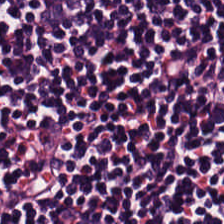H&E. Tissue type — lymphocytes.
